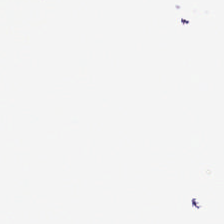H&E-stained tissue section — Histology → background (no tissue).
